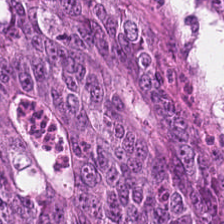Brightfield microscopy · H&E stain. Predominant tissue = colorectal adenocarcinoma epithelium.
